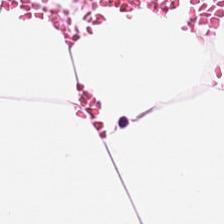Hematoxylin and eosin. 20× equivalent magnification. Formalin-fixed paraffin-embedded section — Histology — fat tissue.
